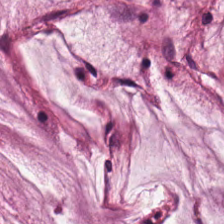H&E; 224×224 px tile — Mucus.
